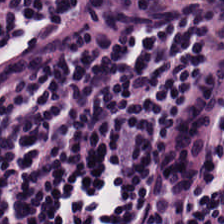FFPE tissue section. H&E stain. The tissue is lymphocyte aggregate.
